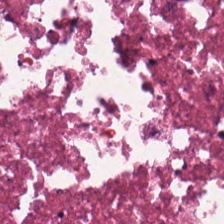H&E-stained tissue section showing cellular debris.
